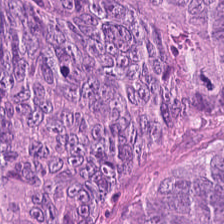Classification: tumor epithelium.
